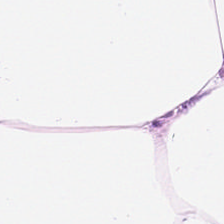Hematoxylin and eosin.
The predominant tissue is adipose.
